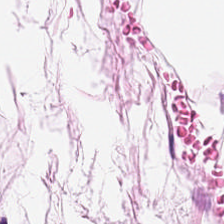Stain: H&E-stained tissue section.
Tissue class: adipose.
